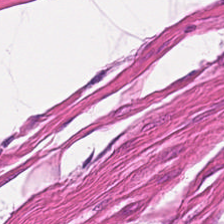FFPE tissue section · H&E-stained tissue section · 224×224 px patch. Impression → smooth muscle.
